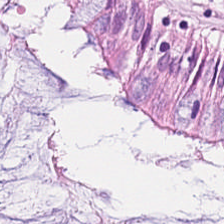Hematoxylin-and-eosin stained section — Q: What does this patch show?
A: It is normal colonic mucosa.
